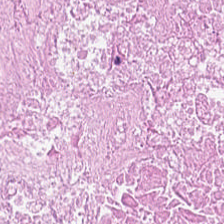20× equivalent magnification. Hematoxylin-and-eosin stained section.
Q: What tissue type is shown here?
A: Cellular debris.
